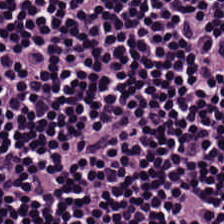Hematoxylin and eosin. Classification = lymphocytic infiltrate.
